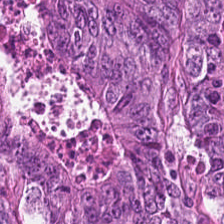H&E-stained tissue section. Tissue class = malignant epithelium.
